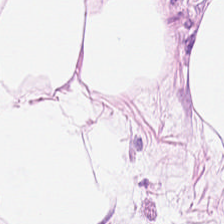Hematoxylin-and-eosin stained section · FFPE.
Impression — adipose.
